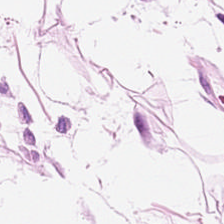Tissue class — adipose.
